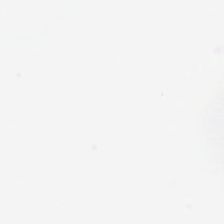H&E.
Field content — no tissue.
